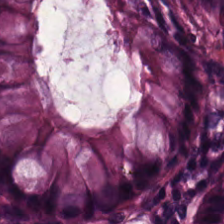0.5 microns per pixel; H&E-stained tissue section.
The predominant tissue is normal colon mucosa.
